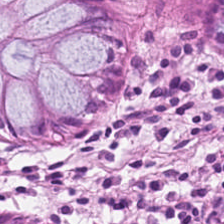224×224 px patch. H&E-stained tissue section — Predominantly normal colonic mucosa.
